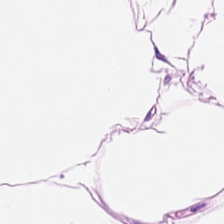H&E stain. Formalin-fixed paraffin-embedded section. Brightfield microscopy.
Showing adipose tissue.
